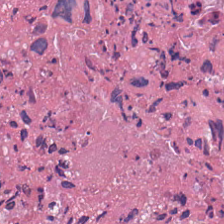Classification = cellular debris.
